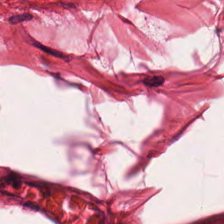Predominantly smooth-muscle tissue.
